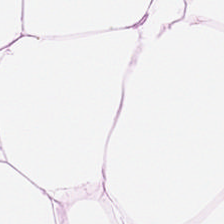Adipose tissue.
